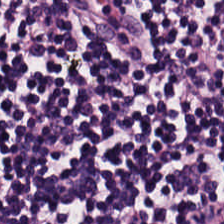H&E stain — Showing lymphoid infiltrate.
